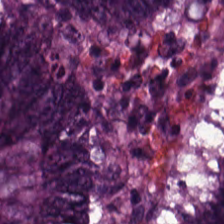Stain: H&E stain.
Tile size: 224×224 px tile.
Tissue type: malignant epithelium.
